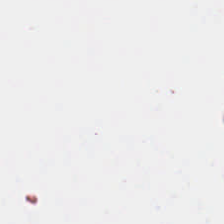Background — no tissue in this field.
